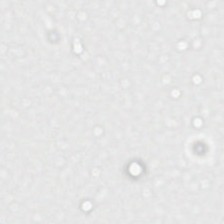20× equivalent magnification · H&E stain · FFPE.
Content: no tissue.
